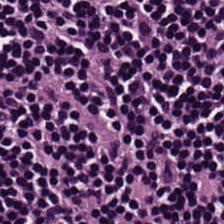H&E patch showing lymphocyte aggregate.
